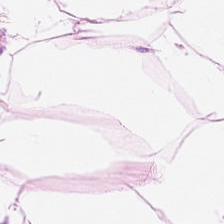H&E stain; 224×224 px patch — Histology — fat tissue.
